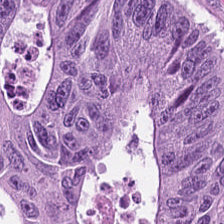H&E-stained tissue section · 224×224 px tile · 0.5 µm/px.
Predominantly malignant epithelium.
